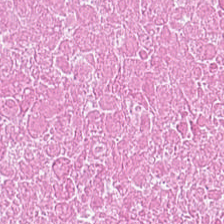Hematoxylin-and-eosin stained section · 0.5 µm/px. Q: What is the predominant tissue type?
A: The field shows cellular debris.
